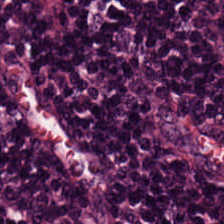The tissue here is lymphocyte aggregate.
